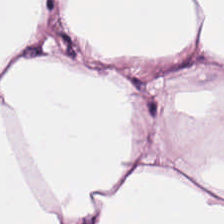Stain: hematoxylin-and-eosin stained section.
Tile size: 224×224 pixel tile.
Tissue class: adipose tissue.
